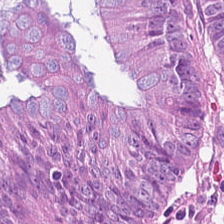H&E-stained tissue section. Q: What does this patch show?
A: Malignant epithelium.
